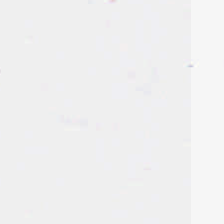Empty background.
